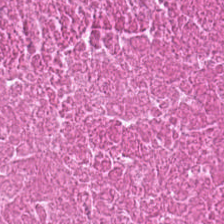This field is debris.
